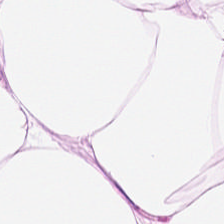224×224 pixel tile · H&E stain · FFPE tissue section.
Q: What is the predominant tissue type?
A: This is adipose tissue.
